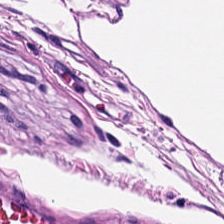Hematoxylin and eosin.
The tissue here is muscularis.
